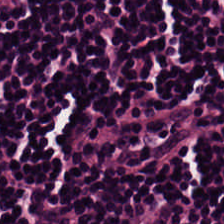Q: Identify the tissue.
A: This is lymphocytes.
